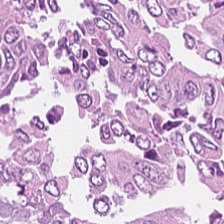Stain: H&E stain.
Tile size: 224×224 px tile.
Tissue: tumor epithelium.
